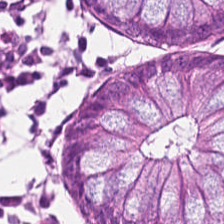H&E — Predominantly normal colon mucosa.
